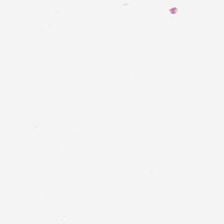Hematoxylin-and-eosin stained section. WSI patch. No tissue.
